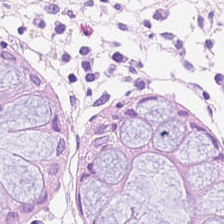Benign colonic mucosa.
